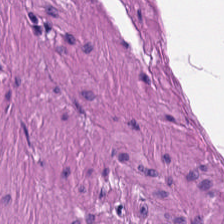The tissue is muscularis.
